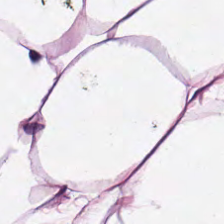20× equivalent magnification. H&E-stained tissue section — Adipocytes.
